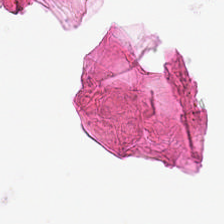Classification: no tissue.
